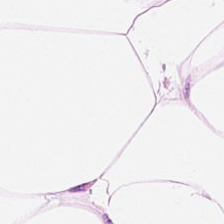H&E-stained tissue section — Tissue type — adipose.
